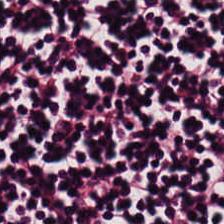H&E-stained tissue section — Finding — lymphocytic infiltrate.
